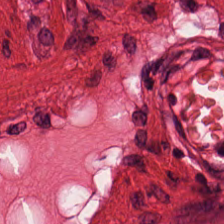H&E patch showing muscularis.
